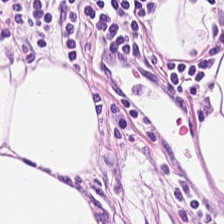H&E. Tissue class: adipose.
